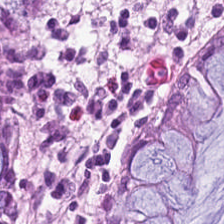H&E stain. This patch shows normal colonic mucosa.
